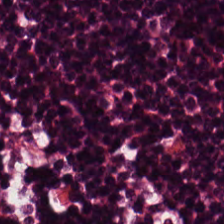Hematoxylin-and-eosin stained section.
Lymphocytes.
